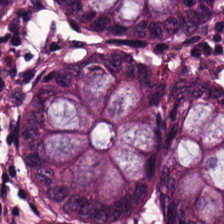Brightfield; H&E stain; 20× equivalent magnification. The tissue here is benign colonic mucosa.
